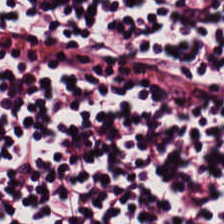H&E.
Q: What does this patch show?
A: It is lymphocyte aggregate.
